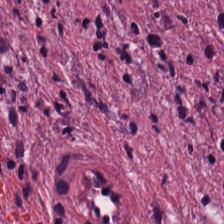H&E.
Tissue type — tumor-associated stroma.
